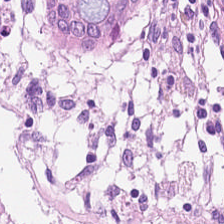H&E patch showing normal colonic mucosa.
